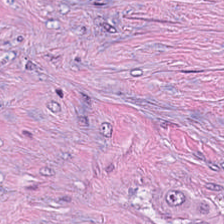H&E; brightfield.
Q: What type of tissue is this?
A: Tumor-associated stroma.
